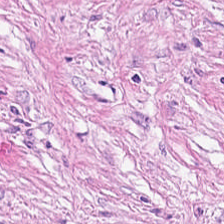Hematoxylin-and-eosin stained section; 224×224 px tile — This field is desmoplastic stroma.
